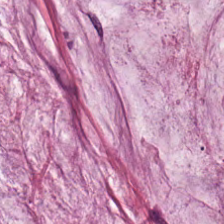Stain: hematoxylin and eosin.
Tissue type: mucus.
